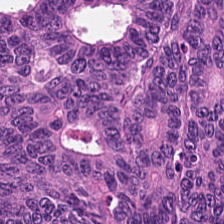Classification — tumor epithelium.
